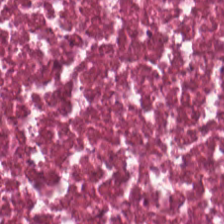H&E-stained section; the field shows cellular debris.
